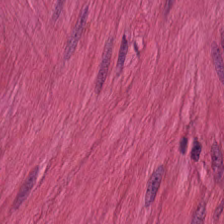Q: Identify the tissue.
A: Muscularis.
